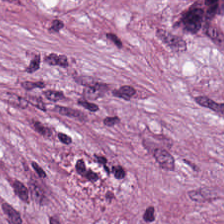WSI patch; hematoxylin-and-eosin stained section.
Q: What is shown in this field?
A: This is cancer-associated stroma.
